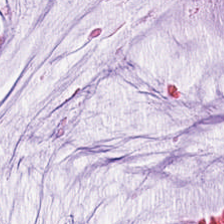Showing mucus.
